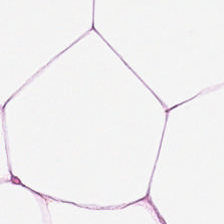Tissue class = adipose.
